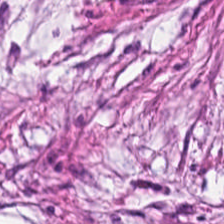The classification is desmoplastic stroma.
